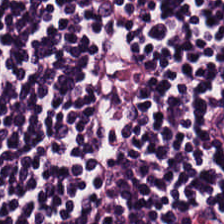224×224 px tile · H&E stain — The tissue is lymphocytes.
